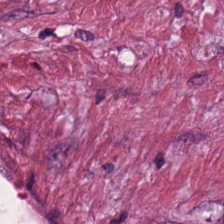Hematoxylin and eosin; 0.5 µm per pixel — Tissue: tumor-associated stroma.
